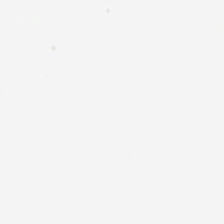Background — no tissue in this field.
